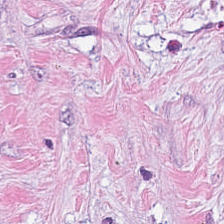Finding — desmoplastic stroma.
